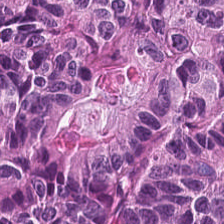Tissue type — colorectal adenocarcinoma.
